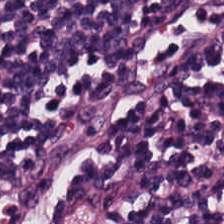Hematoxylin-and-eosin stained section. Lymphocytes.
